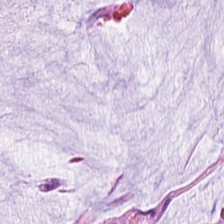Tissue class = mucin.
